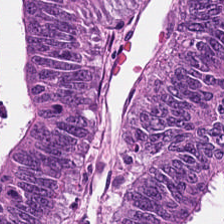H&E stain.
Q: What is shown in this field?
A: The field shows malignant epithelium.
